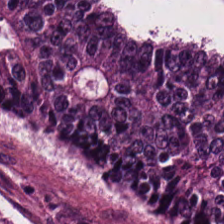WSI patch; formalin-fixed paraffin-embedded section; hematoxylin-and-eosin stained section.
Tissue class — colorectal adenocarcinoma epithelium.
